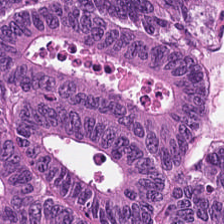Hematoxylin-and-eosin stained section. 20× equivalent magnification. Brightfield. Colorectal adenocarcinoma.
